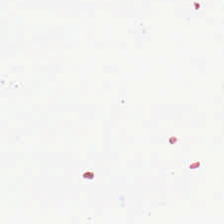Stain: hematoxylin-and-eosin stained section.
Content: empty background.
